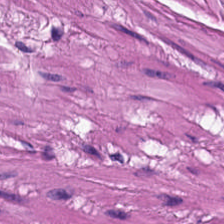Hematoxylin and eosin.
Q: What does this patch show?
A: Smooth muscle.
